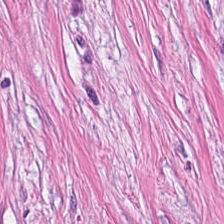FFPE tissue section; hematoxylin and eosin — Classification: cancer-associated stroma.
